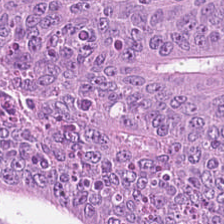H&E stain — Q: What tissue type is shown here?
A: Colorectal adenocarcinoma epithelium.
